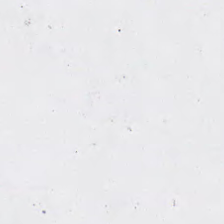Hematoxylin-and-eosin stained section — {"content": "empty background"}
